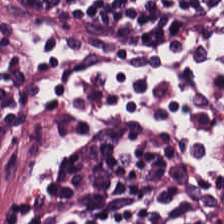H&E stain.
Histology → lymphocytic infiltrate.
